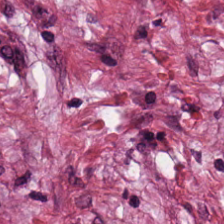224×224 pixel tile. Hematoxylin-and-eosin stained section.
Q: Classify this patch.
A: This is desmoplastic stroma.
